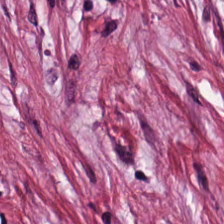Hematoxylin-and-eosin stained section; WSI patch. Histology → cancer-associated stroma.
